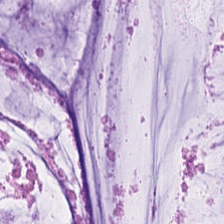H&E. Q: What is the predominant tissue type?
A: The field shows mucus.
